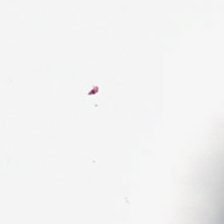Stain: H&E.
Tile size: 224×224 px tile.
Resolution: 0.5 µm per pixel.
Field content: empty background.
